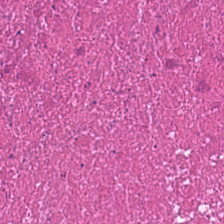20× equivalent magnification. H&E-stained tissue section. {"tissue_type": "necrotic debris"}
